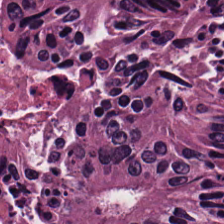H&E; 224×224 px tile; formalin-fixed paraffin-embedded section. The predominant tissue is colorectal adenocarcinoma epithelium.
